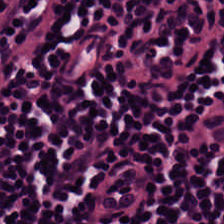Lymphocyte aggregate.
